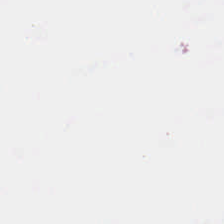Hematoxylin and eosin. 0.5 µm/px.
Field content — background (no tissue).
